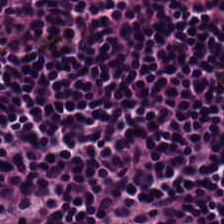H&E · whole-slide-image patch. Finding → lymphoid infiltrate.
